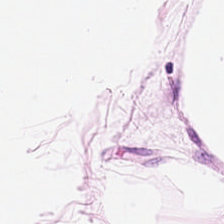224×224 px tile; 0.5 µm per pixel; hematoxylin-and-eosin stained section.
Tissue class = fat tissue.
